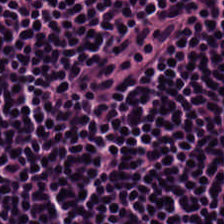Hematoxylin and eosin — Tissue class: lymphocytic infiltrate.
